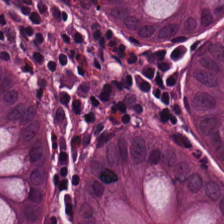Stain: H&E.
Preparation: FFPE tissue section.
Predominant tissue: normal colonic mucosa.
